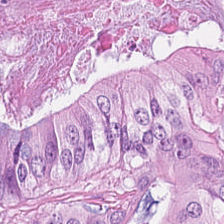Stain: hematoxylin and eosin.
Acquisition: whole-slide-image patch.
Tissue: colorectal adenocarcinoma.
